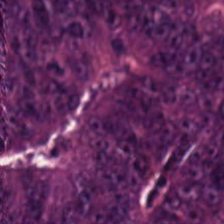Q: What does this patch show?
A: This is tumor epithelium.
